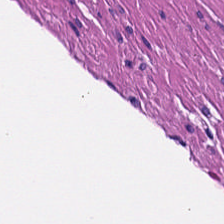Hematoxylin-and-eosin stained section; 224×224 px tile. The classification is smooth-muscle tissue.
